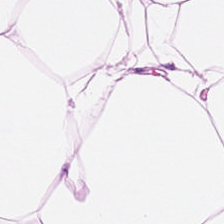FFPE tissue section · H&E-stained tissue section.
Classification = adipocytes.
